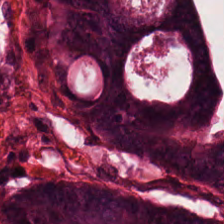H&E. Predominant tissue = colorectal adenocarcinoma.
